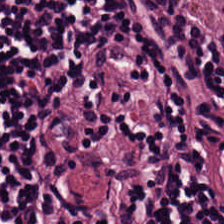Stain: H&E stain.
Tissue class: lymphocytic infiltrate.
